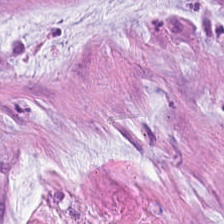Hematoxylin-and-eosin stained section · 224×224 px patch.
Classification = extracellular mucin.
